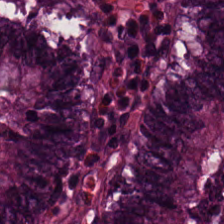H&E-stained tissue section.
Q: What is shown here?
A: Normal colonic mucosa.
